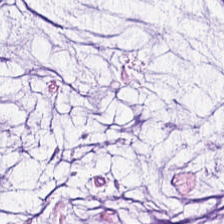Brightfield microscopy · H&E-stained tissue section. Histology — mucin.
